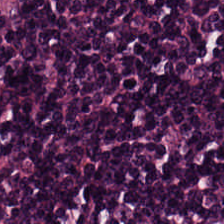This patch shows lymphocytic infiltrate.
